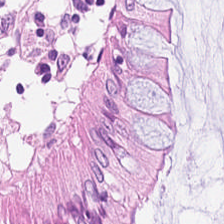224×224 px patch; hematoxylin-and-eosin stained section; 0.5 µm/px — Predominant tissue = normal colonic mucosa.
